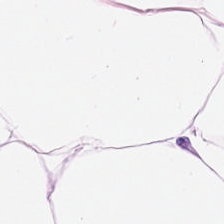Stain: hematoxylin-and-eosin stained section.
Tissue type: fat tissue.
